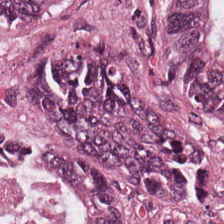Stain: hematoxylin-and-eosin stained section.
Predominant tissue: colorectal adenocarcinoma.
